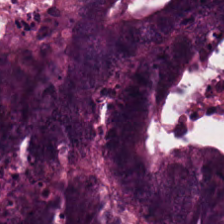224×224 px tile · H&E · brightfield. Histology → adenocarcinoma.
